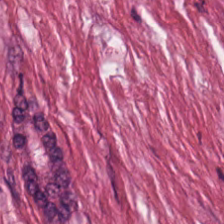FFPE; H&E-stained tissue section. Q: What tissue type is shown here?
A: The field shows cancer-associated stroma.
